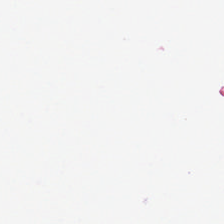Stain: H&E stain.
Resolution: 20× equivalent magnification.
Field content: background (no tissue).
